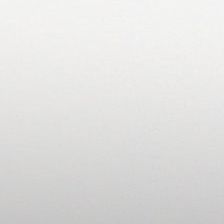WSI patch. H&E-stained tissue section.
Q: What does this patch show?
A: Background (no tissue).
